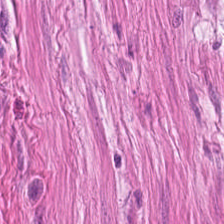H&E-stained tissue section. 0.5 µm/px. {"tissue_type": "smooth-muscle tissue"}
